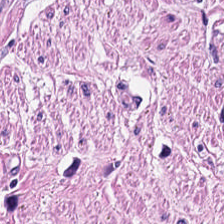Hematoxylin and eosin · 224×224 px tile · FFPE. Finding → smooth-muscle tissue.
